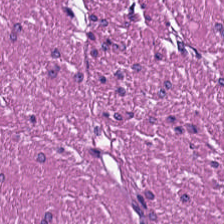224×224 pixel tile · hematoxylin and eosin · 0.5 microns per pixel.
This field is muscularis.
